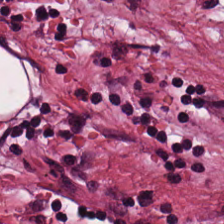Hematoxylin-and-eosin stained section — Tissue class: cancer-associated stroma.
